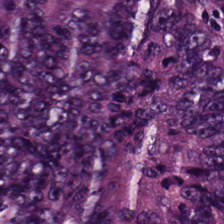Stain: hematoxylin-and-eosin stained section.
Acquisition: whole-slide-image patch.
Tissue type: malignant epithelium.
